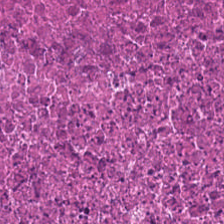Stain: hematoxylin-and-eosin stained section.
Tissue: cellular debris.
